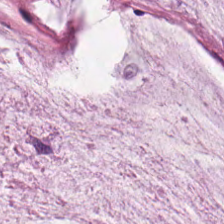Hematoxylin and eosin. Brightfield microscopy. 224×224 px patch.
This patch shows mucus.
